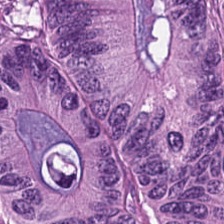Stain: H&E.
Acquisition: brightfield microscopy.
Predominant tissue: adenocarcinoma.
